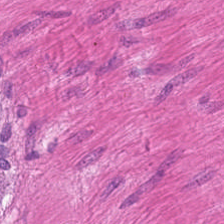H&E stain — Tissue type: smooth muscle.
